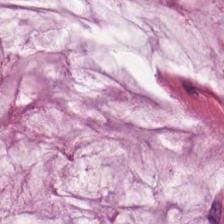Stain: hematoxylin-and-eosin stained section.
Acquisition: brightfield.
Tissue type: mucin.
